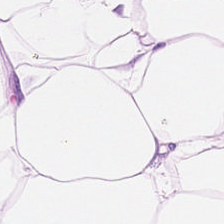Stain: H&E-stained tissue section.
Tissue type: adipose tissue.
